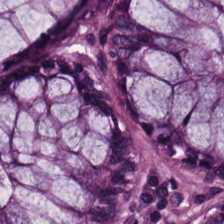{"tissue_type": "normal colon mucosa"}
